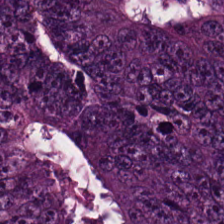Brightfield microscopy. 224×224 px tile. H&E stain.
The predominant tissue is malignant epithelium.
